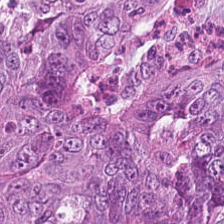H&E.
The tissue here is tumor epithelium.
